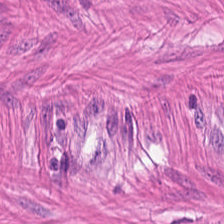Hematoxylin-and-eosin stained section — Tissue class — smooth muscle.
